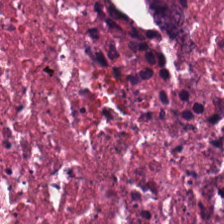Stain: H&E.
Tissue: debris.
